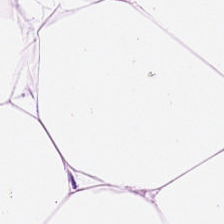Stain: H&E-stained tissue section.
Tissue type: adipose.
